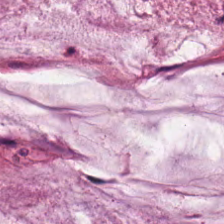H&E stain — The tissue here is extracellular mucin.
